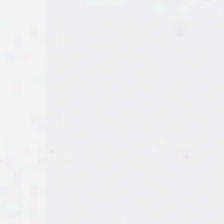20× equivalent magnification · WSI patch · H&E — No tissue present; background only.
